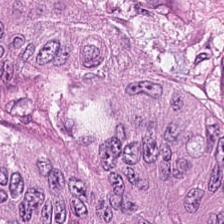Hematoxylin-and-eosin stained section — Q: What tissue type is shown here?
A: This is colorectal adenocarcinoma.
